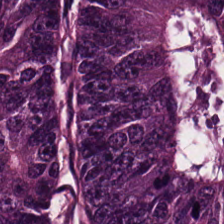H&E-stained tissue section.
Q: Classify this patch.
A: This is colorectal adenocarcinoma epithelium.
